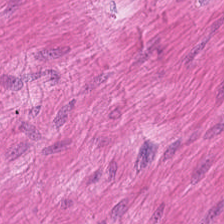H&E.
Tissue: muscularis.
